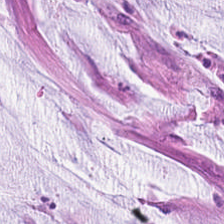Hematoxylin-and-eosin stained section.
Tissue: mucin.
